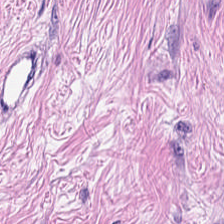Stain: H&E stain.
Tissue type: tumor stroma.
